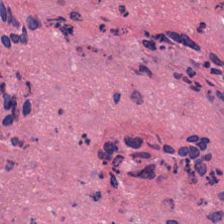Hematoxylin-and-eosin stained section. Histology → cellular debris.
